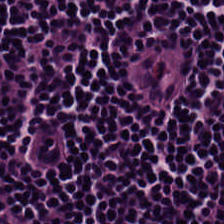H&E-stained tissue section; 224×224 pixel tile. Showing lymphoid infiltrate.
